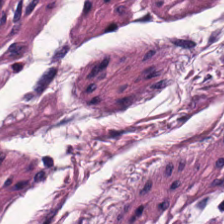224×224 px tile · brightfield · hematoxylin and eosin — Tissue type: muscularis.
